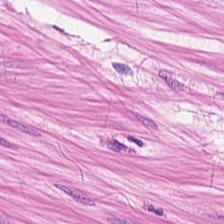Hematoxylin and eosin — The predominant tissue is smooth muscle.
